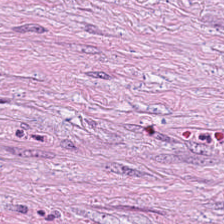0.5 µm per pixel · H&E-stained tissue section · FFPE tissue section. Finding → cancer-associated stroma.
